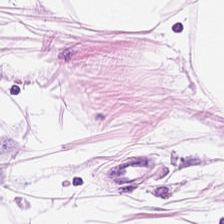Q: What tissue type is shown here?
A: This is adipocytes.
